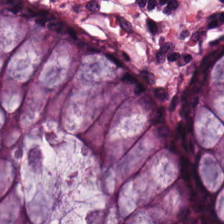H&E-stained tissue section · 0.5 microns per pixel. Q: What type of tissue is this?
A: This is non-neoplastic colon mucosa.
